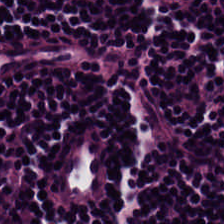H&E-stained tissue section.
Q: Classify this patch.
A: It is lymphocytes.
